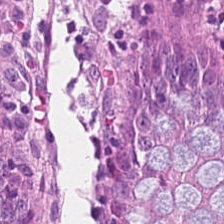H&E · brightfield microscopy. Q: What type of tissue is this?
A: The field shows benign colonic mucosa.
